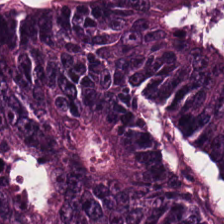Classification — tumor epithelium.
